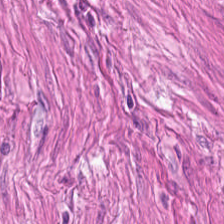H&E — The tissue is smooth muscle.
